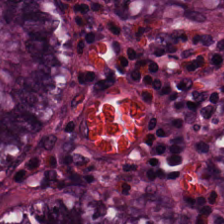Brightfield. H&E-stained tissue section — This field is normal colon mucosa.
